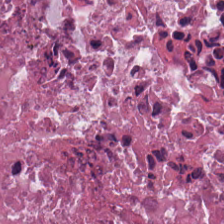Q: What type of tissue is this?
A: It is debris.
